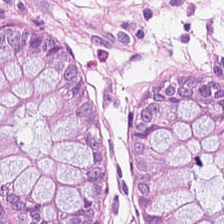H&E-stained tissue section. 0.5 µm per pixel.
The classification is benign colonic mucosa.
